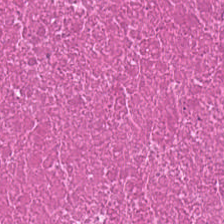Hematoxylin and eosin; WSI patch. Tissue type = necrotic debris.
